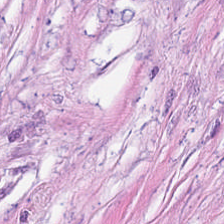H&E-stained tissue section; 224×224 px tile; 0.5 microns per pixel.
Tissue: cancer-associated stroma.
